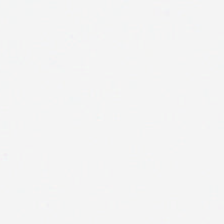H&E-stained tissue section — Finding — empty background.
